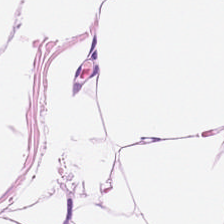Hematoxylin and eosin. Whole-slide-image patch.
Adipose.
